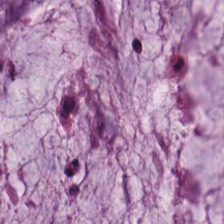H&E. Whole-slide-image patch. FFPE tissue section — Predominantly extracellular mucin.
